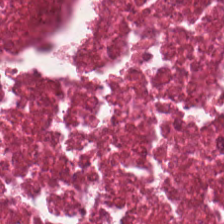Brightfield microscopy; hematoxylin and eosin — This patch shows debris.
